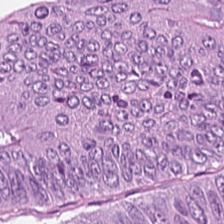Hematoxylin-and-eosin stained section. Whole-slide-image patch. FFPE.
The predominant tissue is colorectal adenocarcinoma.
